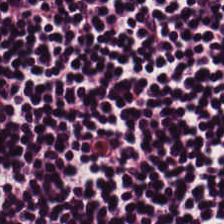Hematoxylin-and-eosin stained section; formalin-fixed paraffin-embedded section — The tissue here is lymphocytic infiltrate.
